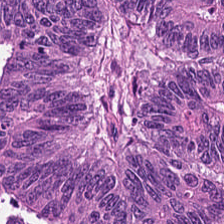Hematoxylin and eosin. Showing tumor epithelium.
